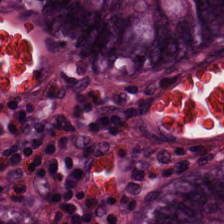H&E-stained tissue section — Predominant tissue — benign colonic mucosa.
